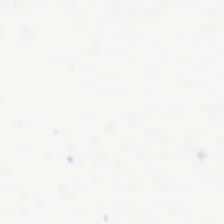Q: What does this patch show?
A: No tissue.
